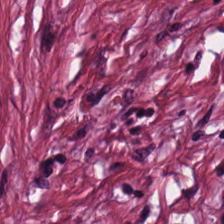H&E. Tissue class: cancer-associated stroma.
